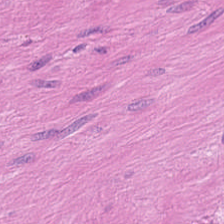FFPE tissue section; H&E — The predominant tissue is smooth muscle.
